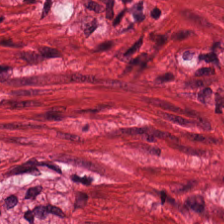Hematoxylin-and-eosin stained section.
The tissue class is smooth-muscle tissue.
